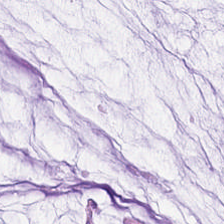Stain: H&E.
Classification: mucus.
